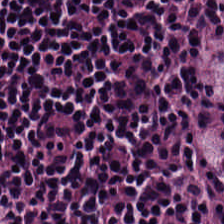224×224 px patch · H&E-stained tissue section. Q: What is the predominant tissue type?
A: This is lymphocytic infiltrate.
